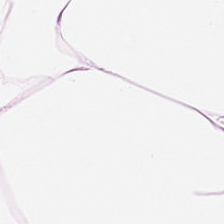Hematoxylin and eosin. {"tissue_type": "fat tissue"}
